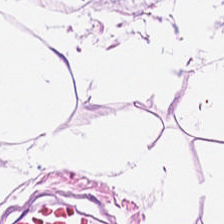Finding → adipose tissue.
